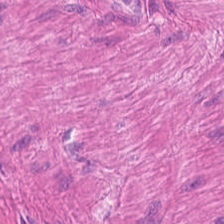224×224 px patch · H&E · FFPE tissue section.
Muscularis.
